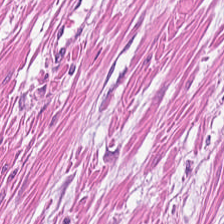Brightfield · H&E-stained tissue section — Showing smooth muscle.
